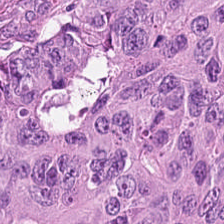Hematoxylin and eosin. Brightfield microscopy.
Q: What tissue type is shown here?
A: Colorectal adenocarcinoma.
